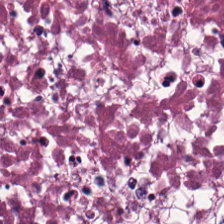H&E stain — Tissue class: cellular debris.
